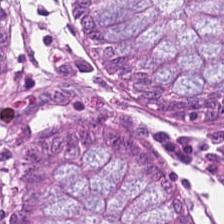H&E.
The tissue here is normal colonic mucosa.
